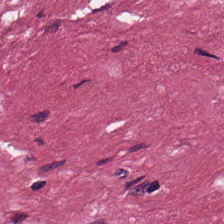H&E-stained tissue section. The tissue here is tumor stroma.
